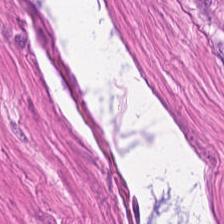H&E-stained tissue section. Q: What does this patch show?
A: It is smooth-muscle tissue.
